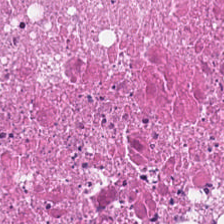Hematoxylin-and-eosin stained section — This field is cellular debris.
